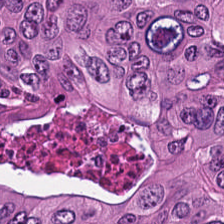H&E patch showing colorectal adenocarcinoma.
